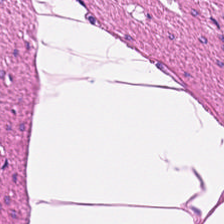224×224 pixel tile · H&E-stained tissue section · FFPE tissue section. The classification is smooth muscle.
